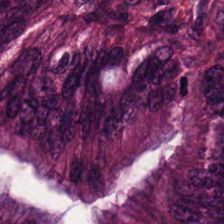Hematoxylin and eosin · brightfield — The predominant tissue is colorectal adenocarcinoma epithelium.
